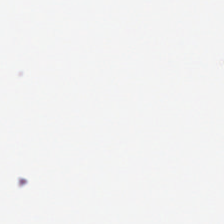Brightfield microscopy; hematoxylin-and-eosin stained section — This field is background (no tissue).
